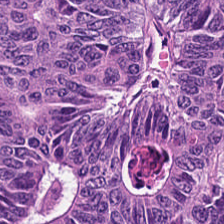FFPE tissue section; brightfield microscopy; hematoxylin and eosin.
Q: What is shown in this field?
A: It is colorectal adenocarcinoma epithelium.
